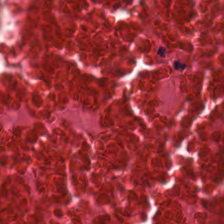Hematoxylin-and-eosin stained section. Formalin-fixed paraffin-embedded section. 0.5 microns per pixel. The tissue here is debris.
